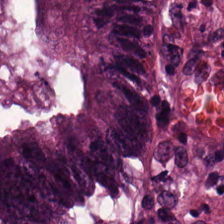Whole-slide-image patch · 0.5 µm/px · hematoxylin and eosin. Histology — tumor epithelium.
